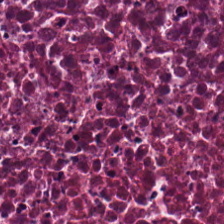Hematoxylin-and-eosin section: cellular debris.
